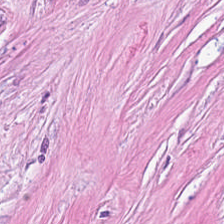H&E-stained tissue section. Tissue type: tumor-associated stroma.
